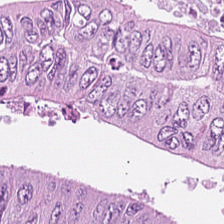H&E-stained tissue section.
The tissue is colorectal adenocarcinoma.
